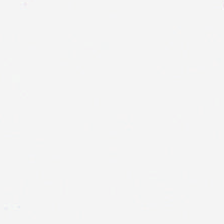Stain: H&E.
Field content: background (no tissue).
